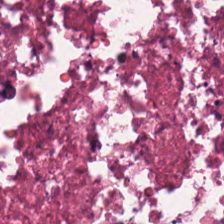224×224 pixel tile. H&E stain. 0.5 µm/px.
Predominant tissue = debris.
